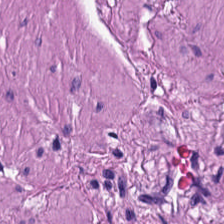Hematoxylin and eosin — The tissue here is muscularis.
